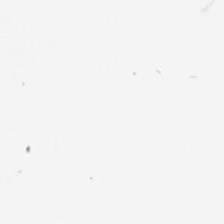Background — no tissue in this field.
